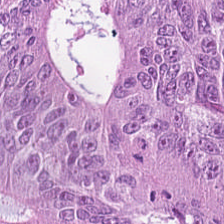Stain: H&E-stained tissue section.
Predominant tissue: tumor epithelium.
